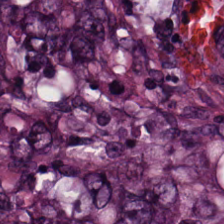Stain: hematoxylin-and-eosin stained section.
Tissue class: colorectal adenocarcinoma.
